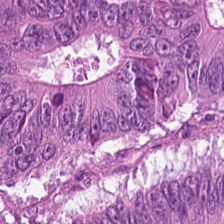H&E-stained tissue section.
The predominant tissue is colorectal adenocarcinoma.
